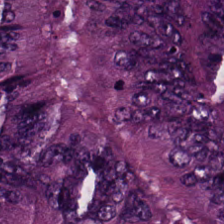Hematoxylin and eosin. Tissue class = malignant epithelium.
